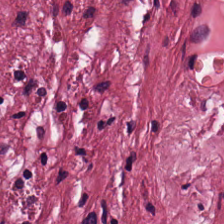FFPE · H&E.
{"tissue_type": "tumor stroma"}
